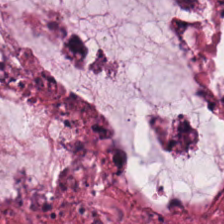Q: Identify the tissue.
A: It is mucin.
